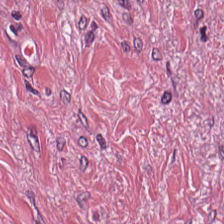Hematoxylin-and-eosin stained section · whole-slide-image patch.
Showing desmoplastic stroma.
